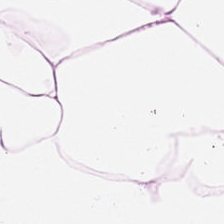H&E — Q: What is shown in this field?
A: The field shows adipose tissue.
